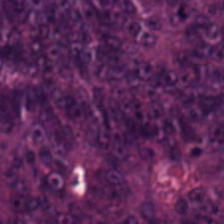Hematoxylin-and-eosin stained section — Tissue = tumor epithelium.
